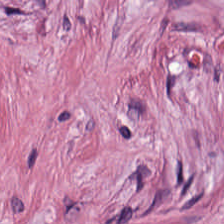H&E · brightfield microscopy — Cancer-associated stroma.
